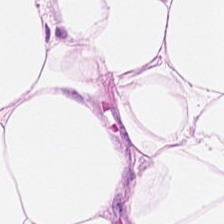H&E — The tissue is adipose tissue.
